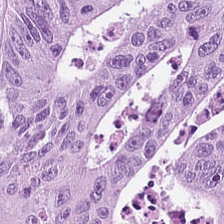H&E stain.
{"tissue_type": "malignant epithelium"}
